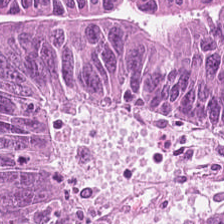Predominantly colorectal adenocarcinoma epithelium.
